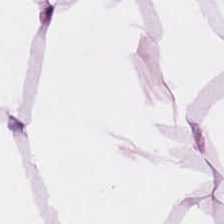H&E stain; FFPE.
Predominantly adipose.
